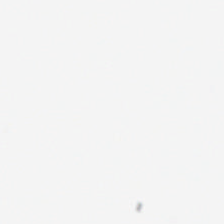20× equivalent magnification. Hematoxylin and eosin — Q: What does this patch show?
A: The field shows background.
